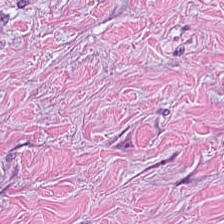H&E-stained section; the field shows desmoplastic stroma.
